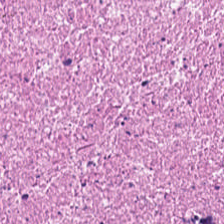H&E patch showing cellular debris.
